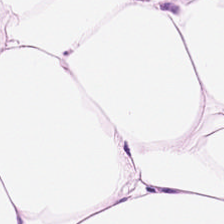Hematoxylin-and-eosin stained section — This patch shows adipose tissue.
